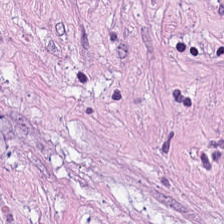The tissue here is tumor-associated stroma.
